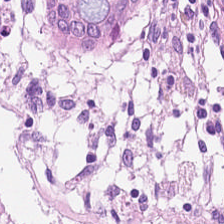Hematoxylin and eosin — Predominantly normal colon mucosa.
